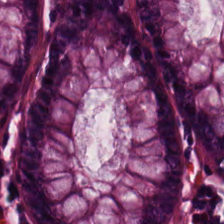Histology → normal colon mucosa.
